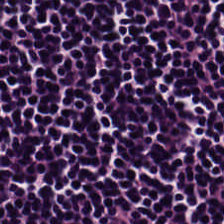H&E-stained tissue section showing lymphocyte aggregate.
